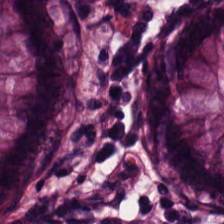WSI patch; H&E-stained tissue section.
Q: Classify this patch.
A: Normal colonic mucosa.
